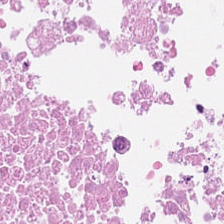This patch shows cellular debris.
